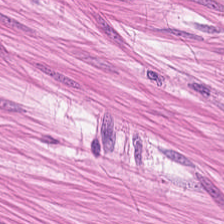H&E-stained tissue section — Predominantly smooth muscle.
